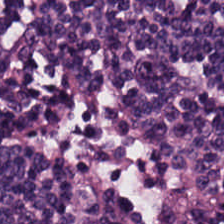H&E-stained tissue section · 20× equivalent magnification. Q: Classify this patch.
A: This is lymphocyte aggregate.
